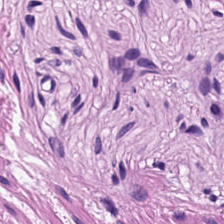Hematoxylin-and-eosin stained section. FFPE tissue section. {"tissue_type": "muscularis"}
